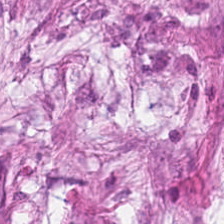0.5 µm/px. 224×224 pixel tile. H&E stain — Showing tumor-associated stroma.
